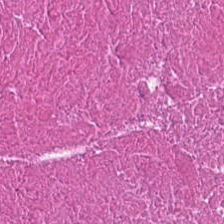Hematoxylin-and-eosin stained section. {"tissue_type": "necrotic debris"}
